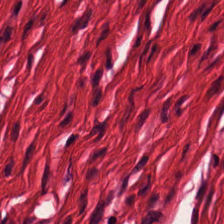Tissue class: smooth-muscle tissue.
